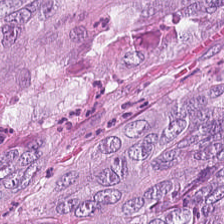Stain: hematoxylin and eosin.
Acquisition: brightfield.
Tissue class: adenocarcinoma.
